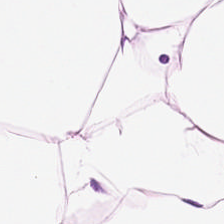Formalin-fixed paraffin-embedded section; hematoxylin and eosin. Classification — adipose tissue.
